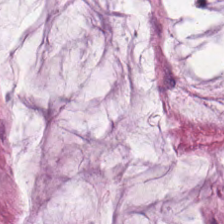H&E stain · 224×224 pixel tile — Q: What is the predominant tissue type?
A: Mucus.
